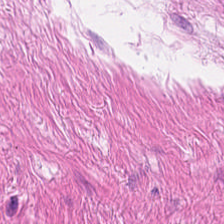FFPE · 224×224 pixel tile · hematoxylin-and-eosin stained section.
The tissue class is smooth-muscle tissue.
